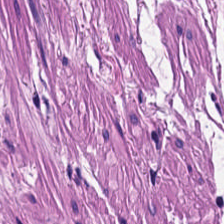This field is smooth muscle.
